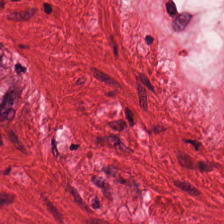H&E — Q: What type of tissue is this?
A: It is muscularis.
